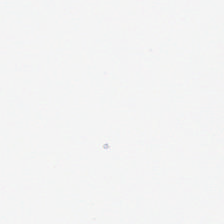0.5 µm/px · H&E stain · 224×224 px tile. Q: Classify this patch.
A: The field shows no tissue.
